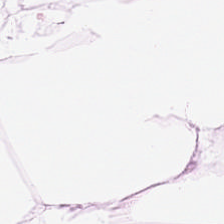Hematoxylin and eosin; FFPE tissue section; 224×224 px tile.
Q: Identify the tissue.
A: Adipocytes.
